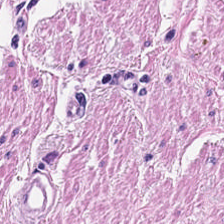0.5 µm per pixel · H&E · 224×224 px tile — Classification: muscularis.
